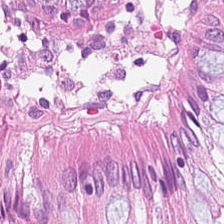Stain: hematoxylin and eosin.
Tissue type: normal colonic mucosa.
